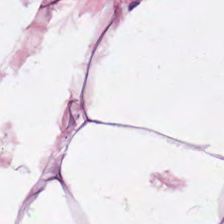H&E. Impression — adipocytes.
